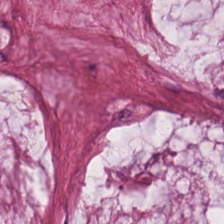Stain: H&E.
Predominant tissue: mucin.
